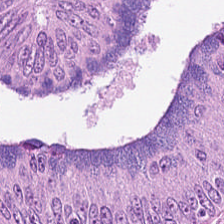Hematoxylin-and-eosin stained section.
Q: Classify this patch.
A: Adenocarcinoma.
